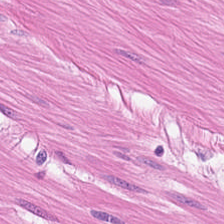H&E stain — Q: What does this patch show?
A: This is smooth-muscle tissue.
